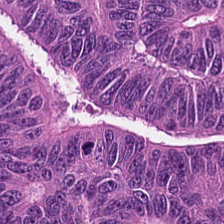224×224 pixel tile. 0.5 µm/px. H&E-stained tissue section. Predominantly tumor epithelium.
